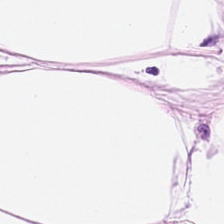Tissue class — adipose.
